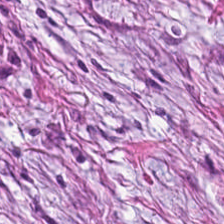Brightfield microscopy · H&E. Predominantly desmoplastic stroma.
